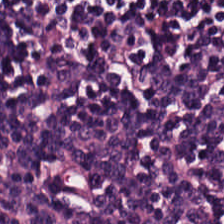H&E-stained tissue section.
{"tissue_type": "lymphocytic infiltrate"}
